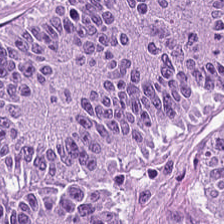H&E-stained tissue section. Predominantly colorectal adenocarcinoma.
